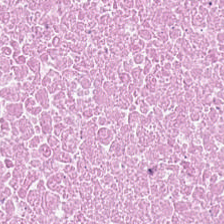H&E-stained tissue section. WSI patch. Showing debris.
